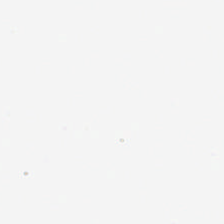H&E stain. This patch shows background.
